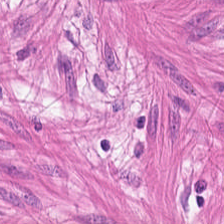Tissue class = smooth-muscle tissue.
